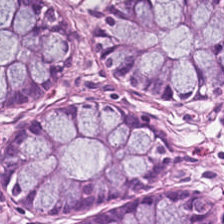H&E stain; WSI patch — Tissue type — normal colonic mucosa.
